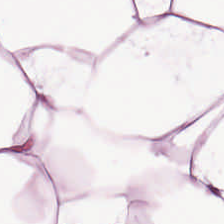H&E patch showing fat tissue.
